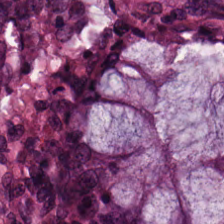Predominantly normal colon mucosa.
